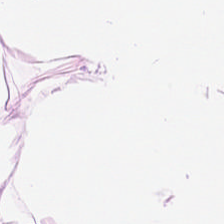Formalin-fixed paraffin-embedded section · 224×224 px tile · hematoxylin and eosin — Classification — fat tissue.
